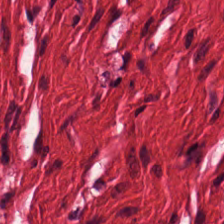Hematoxylin-and-eosin stained section.
Smooth-muscle tissue.
